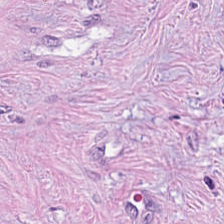The tissue here is tumor stroma.
